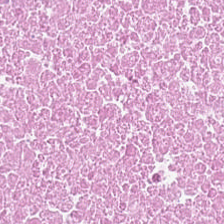Cellular debris.
